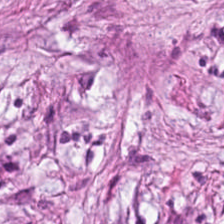Whole-slide-image patch. H&E-stained tissue section. Classification = tumor-associated stroma.
